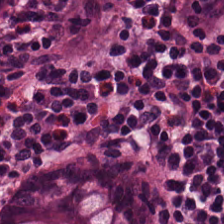H&E.
Impression → normal colon mucosa.
